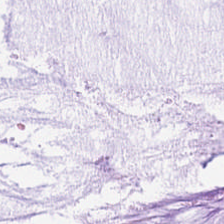H&E. Histology → mucus.
